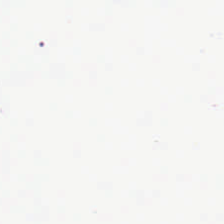H&E-stained tissue section.
Background — no tissue in this field.
